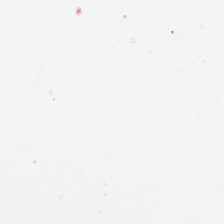Histology → empty background.
